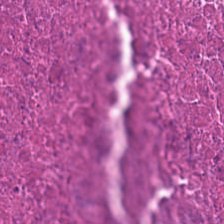Q: What type of tissue is this?
A: This is cellular debris.
